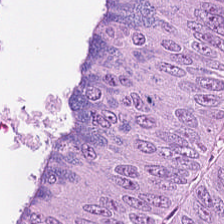H&E stain.
This patch shows malignant epithelium.
